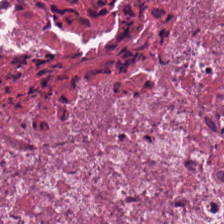Hematoxylin and eosin · FFPE tissue section · 224×224 pixel tile.
Q: What does this patch show?
A: The field shows necrotic debris.
